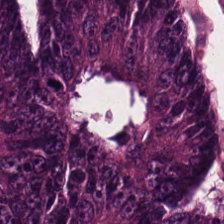H&E-stained tissue section showing adenocarcinoma.
